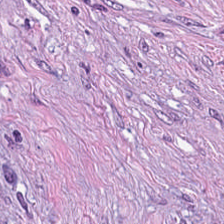Q: What does this patch show?
A: It is tumor-associated stroma.
